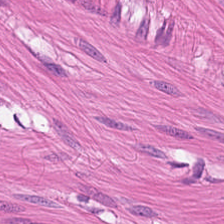Hematoxylin and eosin · brightfield microscopy. This field is smooth-muscle tissue.
